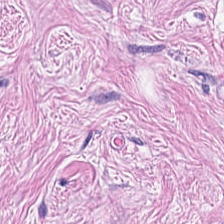H&E-stained tissue section showing cancer-associated stroma.
